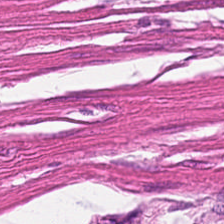FFPE tissue section; hematoxylin-and-eosin stained section. Q: What tissue is shown?
A: This is smooth-muscle tissue.
